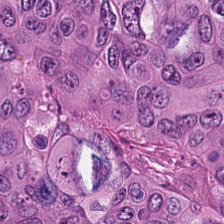This patch shows colorectal adenocarcinoma epithelium.
